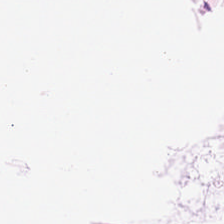H&E — The predominant tissue is adipocytes.
